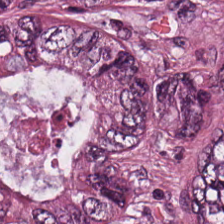The predominant tissue is malignant epithelium.
